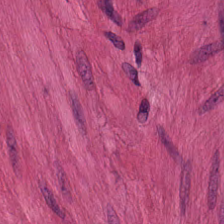Predominantly smooth muscle.
